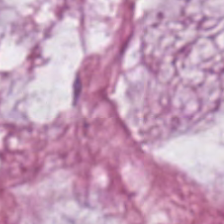Tissue class — extracellular mucin.
